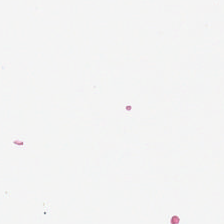H&E stain.
Q: What does this patch show?
A: It is empty background.
